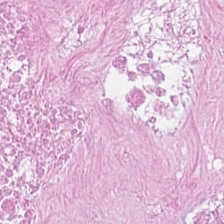{"tissue_type": "debris"}
